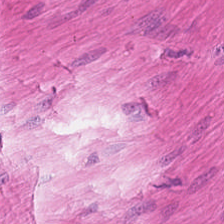Hematoxylin-and-eosin stained section — Q: What type of tissue is this?
A: It is smooth-muscle tissue.
